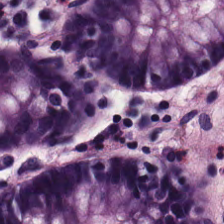224×224 px tile; hematoxylin and eosin.
The tissue here is non-neoplastic colon mucosa.
